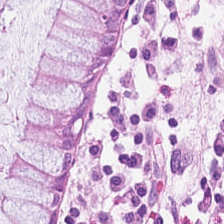Hematoxylin-and-eosin stained section.
Benign colonic mucosa.
